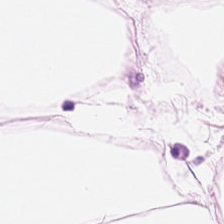Classification: fat tissue.
